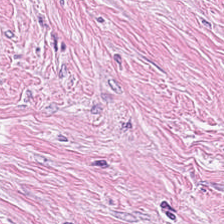Tissue: tumor-associated stroma.
